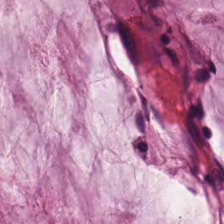Stain: H&E stain.
Tile size: 224×224 px tile.
Resolution: 0.5 µm/px.
Classification: mucin.
